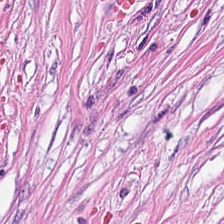H&E.
This field is tumor stroma.
